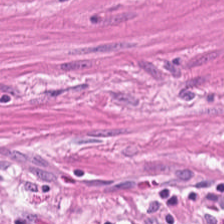H&E. Classification: smooth muscle.
